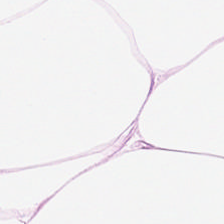Stain: H&E.
Resolution: 0.5 µm/px.
Tissue: adipocytes.
